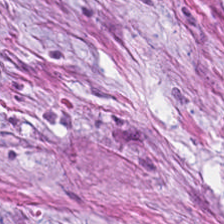Hematoxylin-and-eosin stained section — This field is tumor stroma.
